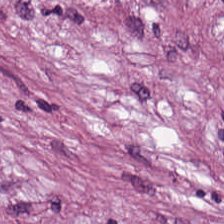Stain: H&E.
Preparation: FFPE.
Classification: desmoplastic stroma.
